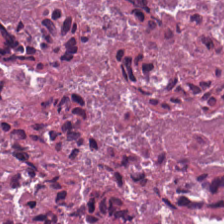Hematoxylin-and-eosin stained section; 224×224 px patch; 0.5 µm per pixel — Predominantly cellular debris.
